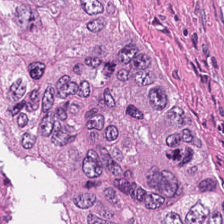The tissue here is cellular debris.
